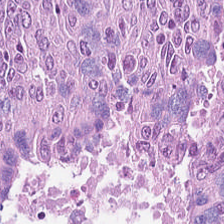Stain: H&E-stained tissue section.
Tissue: colorectal adenocarcinoma.
